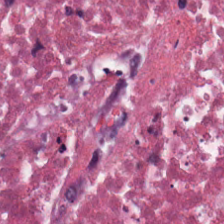Stain: H&E stain.
Classification: necrotic debris.
